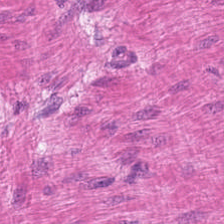Stain: hematoxylin-and-eosin stained section.
Preparation: FFPE tissue section.
Classification: smooth-muscle tissue.
